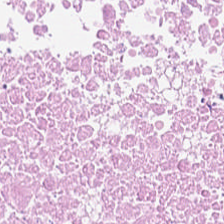Hematoxylin-and-eosin stained section — Histology — necrotic debris.
